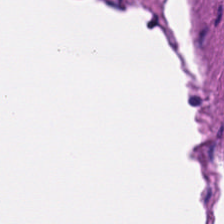Hematoxylin and eosin.
This field is smooth-muscle tissue.
